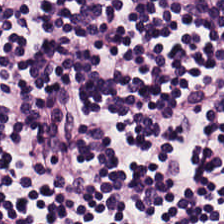Q: What is shown in this field?
A: Lymphoid infiltrate.
